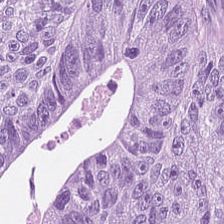H&E stain. Brightfield — The predominant tissue is adenocarcinoma.
